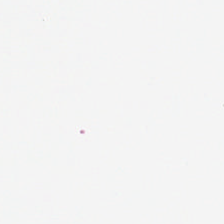224×224 px patch · FFPE · H&E. This field is background (no tissue).
